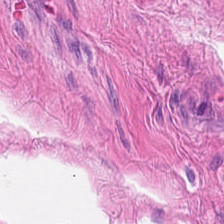H&E. Showing smooth-muscle tissue.
